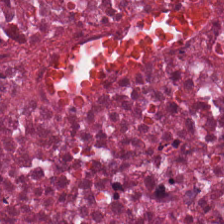Q: What is the predominant tissue type?
A: The field shows cellular debris.
